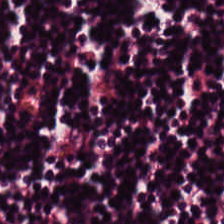Impression — lymphoid infiltrate.
